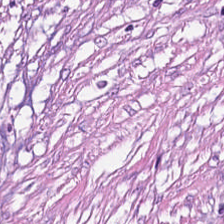Hematoxylin-and-eosin stained section. 224×224 px tile. Tissue class — cancer-associated stroma.
